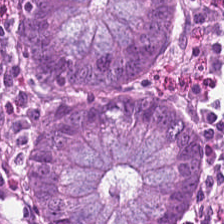FFPE tissue section · H&E-stained tissue section. The predominant tissue is benign colonic mucosa.
